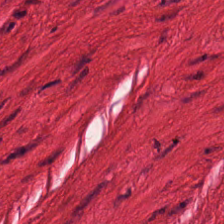H&E-stained tissue section — This field is smooth-muscle tissue.
